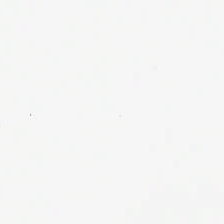H&E stain. No tissue present; background only.
